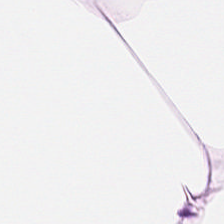Stain: H&E.
Acquisition: whole-slide-image patch.
Predominant tissue: adipose.
